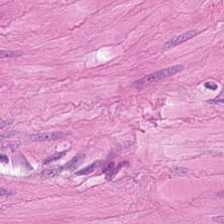0.5 µm/px · 224×224 px tile · hematoxylin-and-eosin stained section — The predominant tissue is muscularis.
